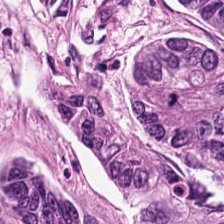Hematoxylin-and-eosin stained section. 0.5 microns per pixel.
Q: What tissue is shown?
A: It is colorectal adenocarcinoma epithelium.
